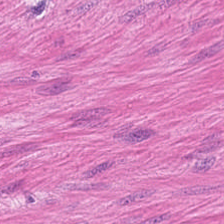H&E stain · 224×224 px patch. Tissue class: muscularis.
